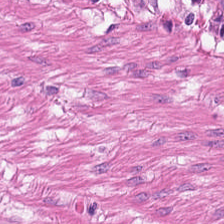H&E-stained tissue section — The predominant tissue is smooth muscle.
